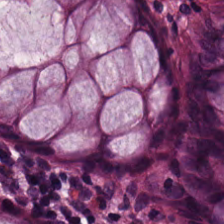Hematoxylin-and-eosin stained section; WSI patch. This field is normal colonic mucosa.
